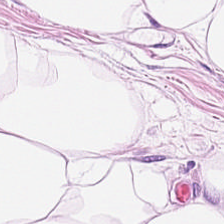H&E stain. 224×224 px tile.
Q: What is shown in this field?
A: It is adipose tissue.
